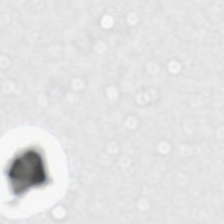H&E stain. This patch shows background.
